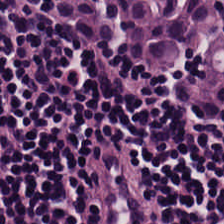0.5 microns per pixel; hematoxylin-and-eosin stained section.
The tissue here is lymphocytes.
